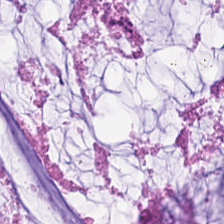Predominant tissue: mucin.
